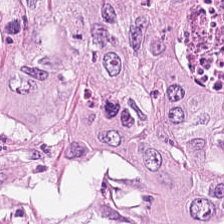H&E-stained tissue section; formalin-fixed paraffin-embedded section. Tissue — adenocarcinoma.
